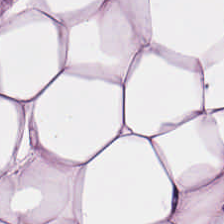Hematoxylin and eosin; FFPE — This field is adipocytes.
